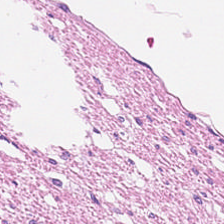WSI patch; H&E. Q: Identify the tissue.
A: Smooth muscle.
